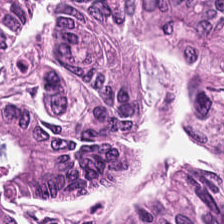H&E.
The predominant tissue is colorectal adenocarcinoma epithelium.
